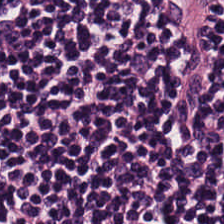H&E stain — This patch shows lymphoid infiltrate.
